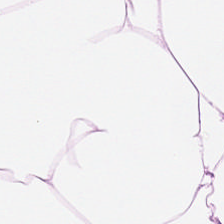Stain: H&E stain.
Tissue class: fat tissue.
